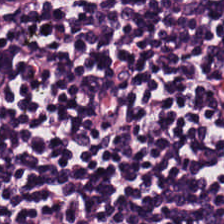Stain: hematoxylin and eosin.
Tissue type: lymphoid infiltrate.
